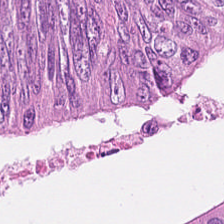Whole-slide-image patch · H&E stain. Predominant tissue = tumor epithelium.
